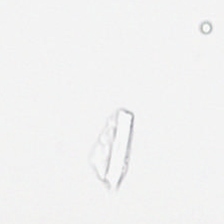H&E-stained tissue section — Finding — empty background.
